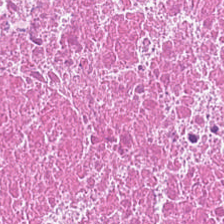{"tissue_type": "debris"}
